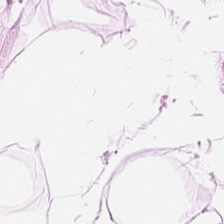Formalin-fixed paraffin-embedded section. Hematoxylin and eosin. Brightfield microscopy.
Predominantly adipose.
